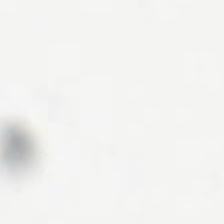H&E-stained tissue section · whole-slide-image patch.
Q: Classify this patch.
A: It is background (no tissue).
